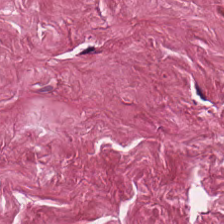Hematoxylin and eosin · FFPE — Q: What is the predominant tissue type?
A: It is tumor-associated stroma.
